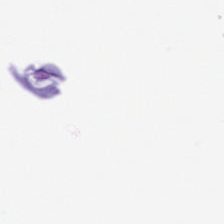Hematoxylin and eosin. Background — no tissue in this field.
